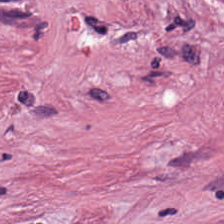Hematoxylin and eosin; WSI patch; 224×224 px patch.
This patch shows tumor-associated stroma.
